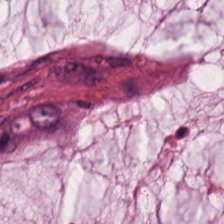H&E-stained tissue section.
The predominant tissue is extracellular mucin.
